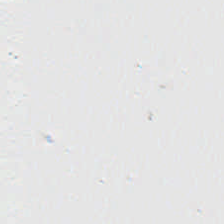H&E stain · 224×224 px patch. Content: empty background.
